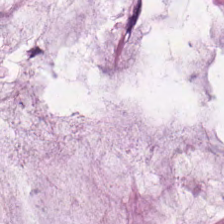H&E stain.
Finding — extracellular mucin.
